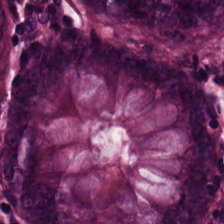H&E stain. Q: What type of tissue is this?
A: It is non-neoplastic colon mucosa.
